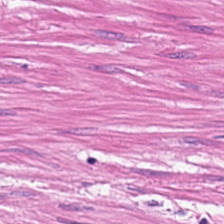H&E stain. Q: What tissue is shown?
A: This is muscularis.
